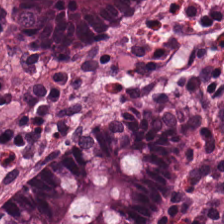H&E stain.
Showing benign colonic mucosa.
